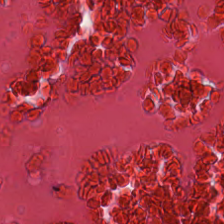H&E-stained tissue section — Q: What is the predominant tissue type?
A: Cellular debris.
